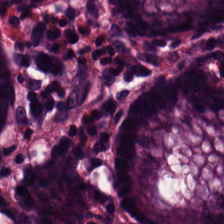Benign colonic mucosa.
